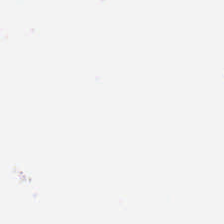Formalin-fixed paraffin-embedded section. Hematoxylin-and-eosin stained section.
{"content": "empty background"}
